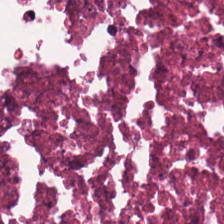H&E stain — Tissue class = necrotic debris.
